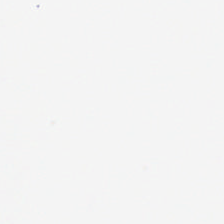H&E-stained tissue section. Content = empty background.
